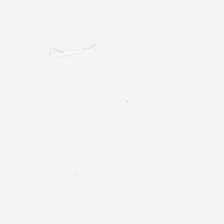Impression — background (no tissue).
